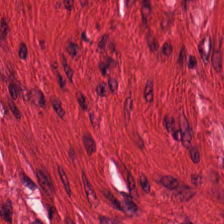Brightfield. Formalin-fixed paraffin-embedded section. H&E. Predominantly smooth-muscle tissue.
